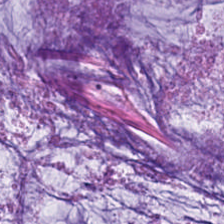H&E; brightfield microscopy.
Tissue type — mucin.
